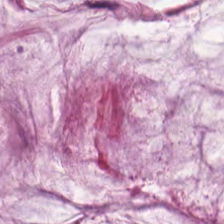H&E. {"tissue_type": "mucus"}
